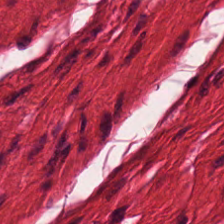This field is smooth-muscle tissue.
